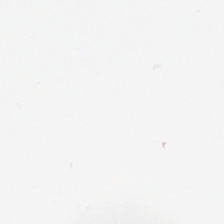H&E. Background — no tissue in this field.
